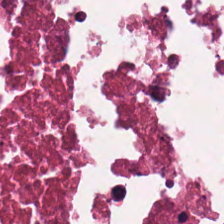Hematoxylin-and-eosin stained section. Finding — necrotic debris.
